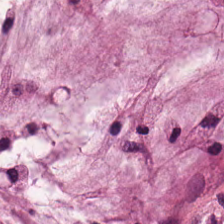224×224 px tile; hematoxylin and eosin.
The tissue class is extracellular mucin.
